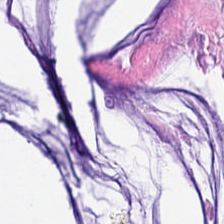Histology → extracellular mucin.
